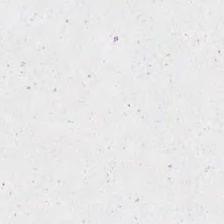H&E stain. 0.5 microns per pixel — Q: What is shown here?
A: It is empty background.
